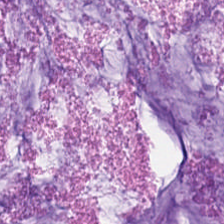H&E. Predominantly mucus.
